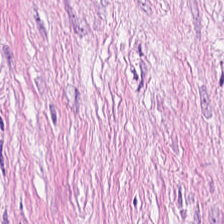Stain: H&E stain.
Tile size: 224×224 px tile.
Acquisition: whole-slide-image patch.
Tissue type: desmoplastic stroma.
